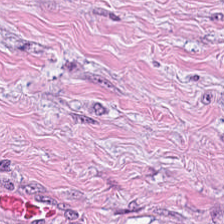Hematoxylin-and-eosin stained section — Showing desmoplastic stroma.
